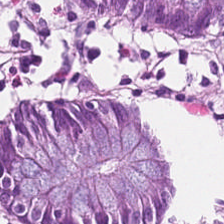H&E stain. FFPE.
Predominantly benign colonic mucosa.
